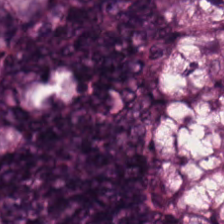Hematoxylin-and-eosin stained section — Predominant tissue — colorectal adenocarcinoma.
